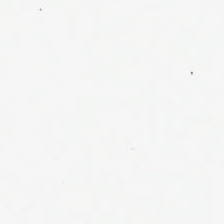H&E stain. No tissue present; background only.
